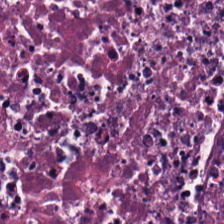H&E patch showing cellular debris.
